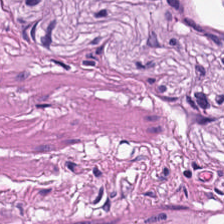Stain: hematoxylin and eosin.
Predominant tissue: muscularis.
